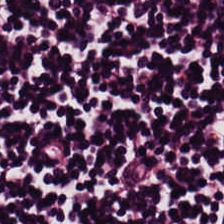Brightfield microscopy. H&E-stained tissue section.
The predominant tissue is lymphocytic infiltrate.
